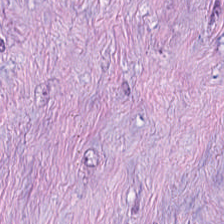WSI patch; H&E stain — Tissue class: tumor stroma.
